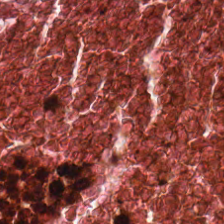0.5 µm per pixel. Formalin-fixed paraffin-embedded section. Hematoxylin and eosin — Showing cellular debris.
